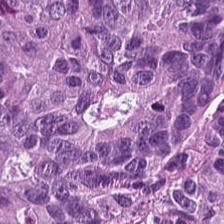224×224 pixel tile. H&E stain. This field is adenocarcinoma.
